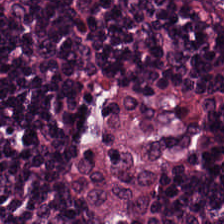Stain: hematoxylin and eosin.
Tissue: lymphocyte aggregate.
